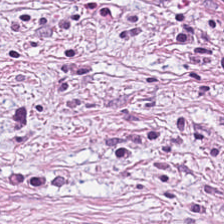Desmoplastic stroma.
